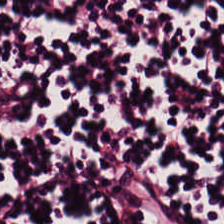H&E stain.
Showing lymphocytic infiltrate.
